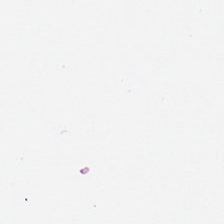H&E-stained tissue section — Field content = background.
